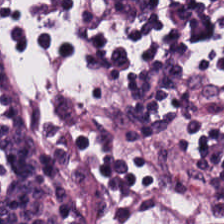Brightfield · H&E stain — Histology → lymphocytes.
